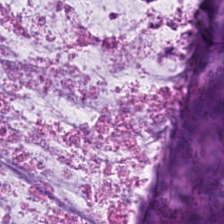Hematoxylin and eosin — Tissue — mucin.
